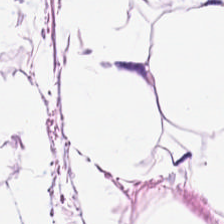H&E. Tissue class — adipose.
